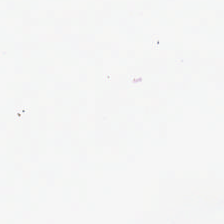Hematoxylin-and-eosin stained section.
Field content = background.
